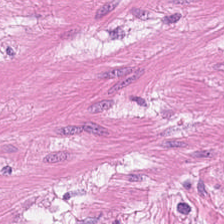H&E. Tissue class = smooth muscle.
